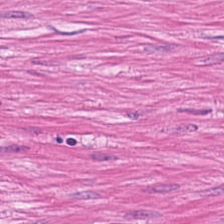Q: Classify this patch.
A: This is muscularis.
